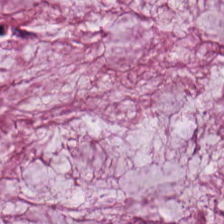H&E-stained tissue section. Q: What tissue is shown?
A: The field shows extracellular mucin.
